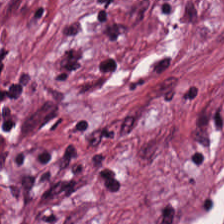H&E stain · brightfield. Tissue type — tumor-associated stroma.
